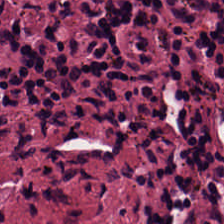H&E-stained tissue section. Lymphocyte aggregate.
